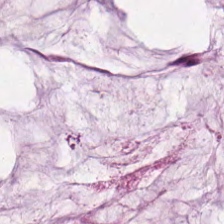H&E stain.
Tissue — extracellular mucin.
